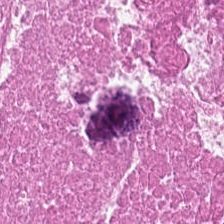0.5 µm/px · 224×224 px tile · H&E stain. Showing necrotic debris.
